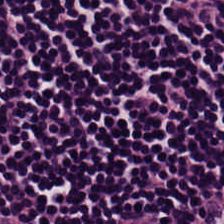Tissue — lymphocytes.
